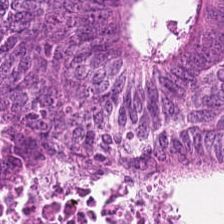Hematoxylin-and-eosin stained section — The predominant tissue is tumor epithelium.
